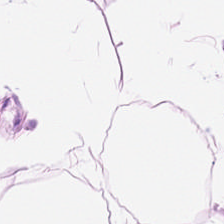Hematoxylin and eosin. Formalin-fixed paraffin-embedded section — This field is adipocytes.
